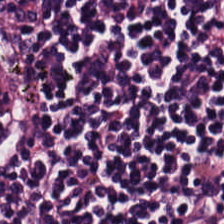Hematoxylin-and-eosin stained section. Q: What is shown in this field?
A: Lymphoid infiltrate.
